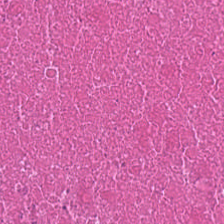H&E — Tissue class = debris.
